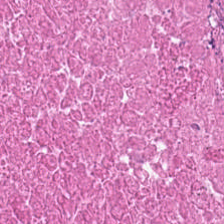H&E-stained tissue section; FFPE. {"tissue_type": "cellular debris"}
